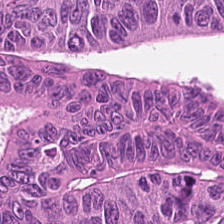H&E.
Tissue class — colorectal adenocarcinoma.
